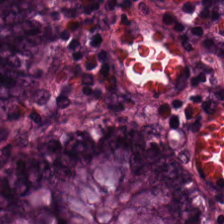Hematoxylin-and-eosin stained section; 224×224 px patch.
The tissue type is benign colonic mucosa.
